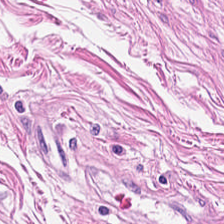Tissue type: muscularis.
